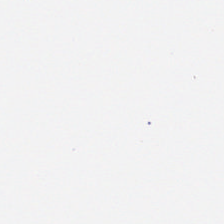H&E — Field content — background (no tissue).
